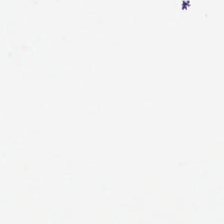FFPE tissue section · H&E · 224×224 pixel tile.
Histology — empty background.
